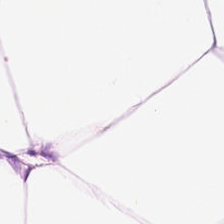H&E.
Q: What tissue type is shown here?
A: The field shows adipose tissue.
